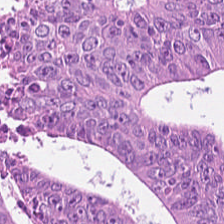WSI patch. H&E-stained tissue section.
The predominant tissue is adenocarcinoma.
